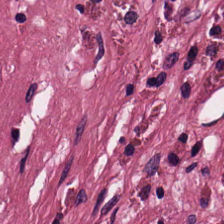H&E — desmoplastic stroma.
